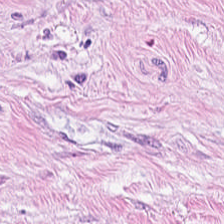Q: What type of tissue is this?
A: It is tumor stroma.
